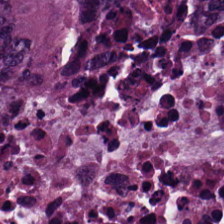The tissue class is adenocarcinoma.
